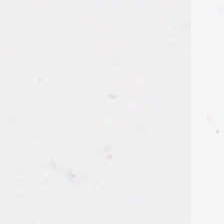H&E.
Content: background.
